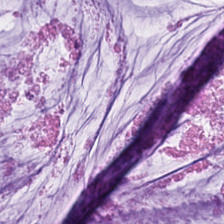This patch shows mucus.
